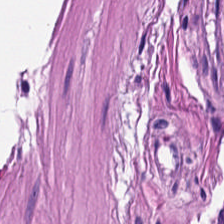H&E-stained tissue section. 0.5 µm per pixel — This field is smooth-muscle tissue.
